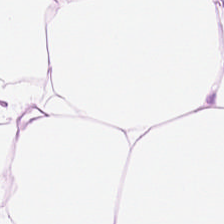H&E stain · 0.5 microns per pixel. Showing adipose tissue.
